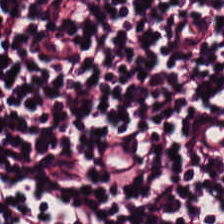Hematoxylin-and-eosin stained section; 0.5 microns per pixel; brightfield — Predominant tissue: lymphocytes.
